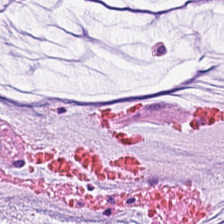Hematoxylin-and-eosin stained section — The classification is extracellular mucin.
